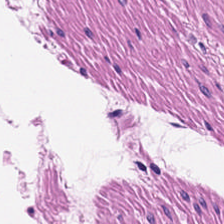{"tissue_type": "muscularis"}
